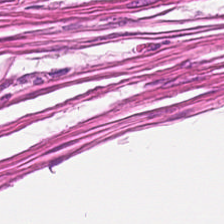Impression → smooth-muscle tissue.
